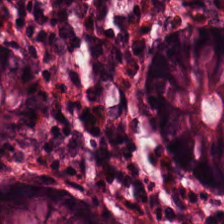Stain: hematoxylin-and-eosin stained section.
Acquisition: WSI patch.
Tissue type: normal colon mucosa.
